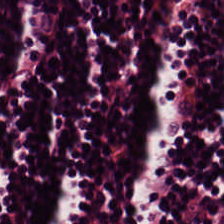Stain: hematoxylin and eosin.
Predominant tissue: lymphocytic infiltrate.
